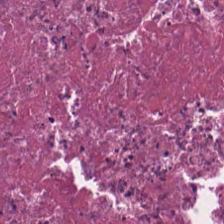Hematoxylin-and-eosin stained section — Predominantly necrotic debris.
